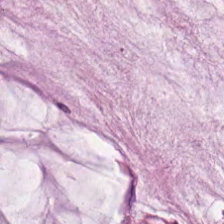Hematoxylin-and-eosin stained section; formalin-fixed paraffin-embedded section. The predominant tissue is extracellular mucin.
